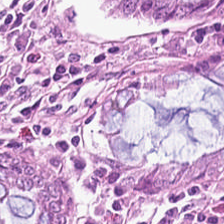0.5 microns per pixel. Hematoxylin-and-eosin stained section. Q: What tissue type is shown here?
A: The field shows non-neoplastic colon mucosa.
